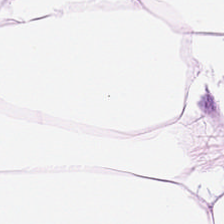Stain: hematoxylin and eosin.
Resolution: 0.5 µm/px.
Preparation: FFPE.
Predominant tissue: adipose tissue.
